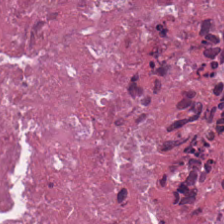H&E stain. Classification = debris.
